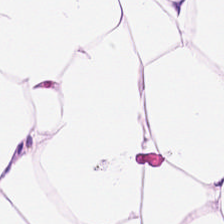This patch shows fat tissue.
